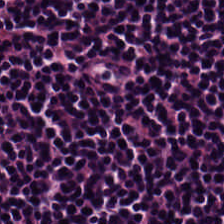H&E-stained tissue section.
Predominantly lymphocyte aggregate.
